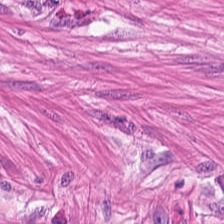224×224 px patch. H&E stain.
Tissue: smooth-muscle tissue.
